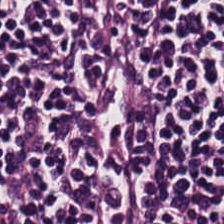H&E-stained tissue section. Q: Identify the tissue.
A: The field shows lymphocytes.
